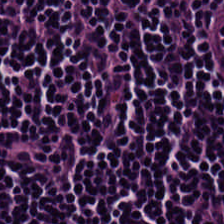Stain: H&E-stained tissue section.
Tissue type: lymphoid infiltrate.
